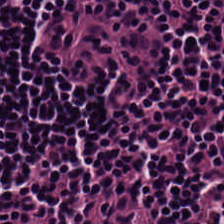0.5 microns per pixel; H&E stain; 224×224 pixel tile. The tissue here is lymphocyte aggregate.
